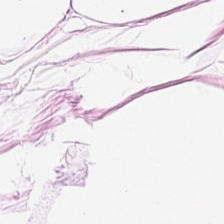FFPE. H&E stain. 224×224 px tile. Tissue type — fat tissue.
